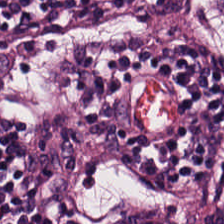Hematoxylin and eosin. Tissue class — lymphoid infiltrate.
